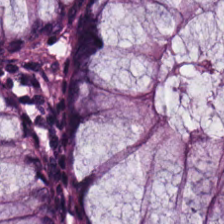The tissue class is benign colonic mucosa.
